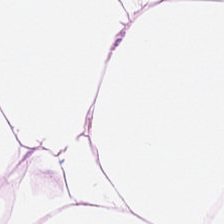H&E — Tissue class = adipose tissue.
